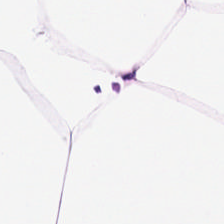H&E-stained section; the field shows fat tissue.
